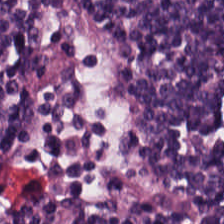Hematoxylin-and-eosin stained section; 0.5 microns per pixel; FFPE. Q: What type of tissue is this?
A: Lymphocytic infiltrate.
